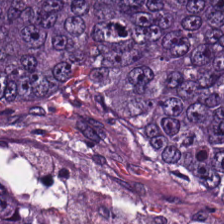Stain: hematoxylin and eosin.
Tissue class: colorectal adenocarcinoma epithelium.
